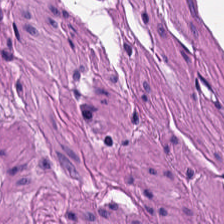Histology → muscularis.
